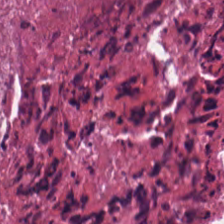224×224 px tile. 0.5 µm/px. H&E-stained tissue section.
Q: Identify the tissue.
A: The field shows cellular debris.
